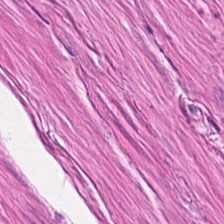H&E stain.
Predominant tissue — muscularis.
